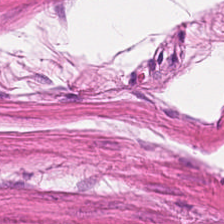Hematoxylin and eosin; 224×224 px patch. Tissue class — smooth-muscle tissue.
